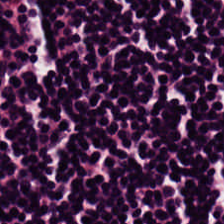Hematoxylin and eosin. The tissue here is lymphoid infiltrate.
